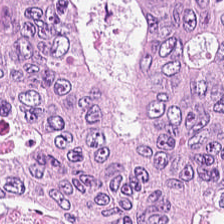Hematoxylin-and-eosin stained section. 20× equivalent magnification. This patch shows colorectal adenocarcinoma.
